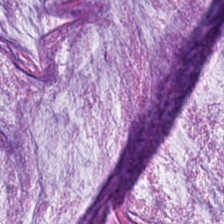Showing mucus.
